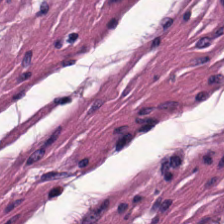H&E stain. 224×224 pixel tile — Q: Classify this patch.
A: The field shows muscularis.
